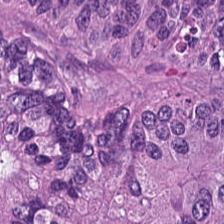H&E stain. 224×224 px patch — Predominant tissue — malignant epithelium.
